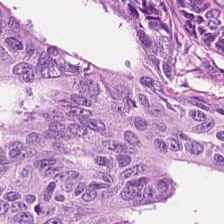Stain: H&E stain.
Tissue type: colorectal adenocarcinoma epithelium.
